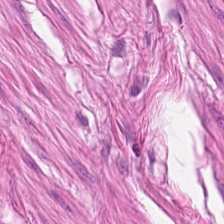Brightfield microscopy. H&E. 224×224 px tile — Showing smooth-muscle tissue.
